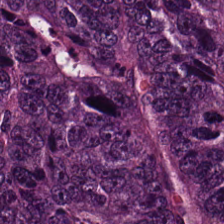Predominant tissue — colorectal adenocarcinoma epithelium.
